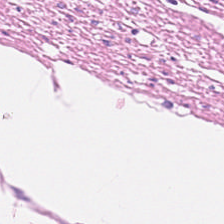Hematoxylin-and-eosin stained section.
Predominantly smooth-muscle tissue.
